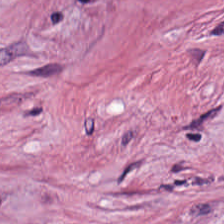H&E-stained section; the field shows desmoplastic stroma.
